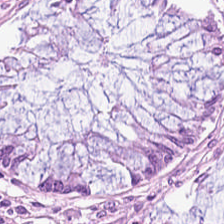Stain: hematoxylin-and-eosin stained section.
Acquisition: whole-slide-image patch.
Tissue type: benign colonic mucosa.
